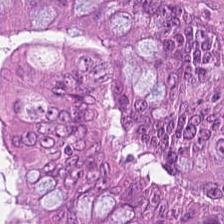Q: What type of tissue is this?
A: This is malignant epithelium.
